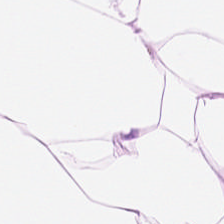H&E-stained tissue section. 224×224 pixel tile. This field is adipocytes.
